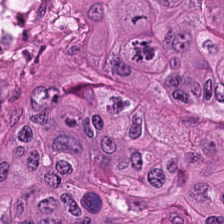H&E. Showing malignant epithelium.
